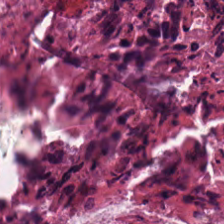Predominant tissue = debris.
